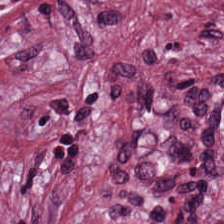This field is cancer-associated stroma.
